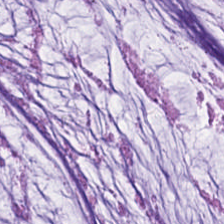Hematoxylin-and-eosin stained section · 0.5 microns per pixel — This field is mucin.
